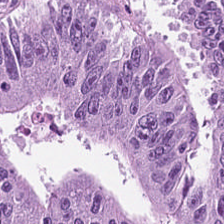The tissue here is colorectal adenocarcinoma.
